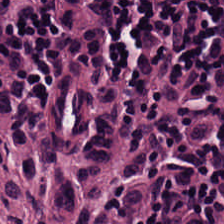Hematoxylin and eosin. 224×224 pixel tile — Showing lymphocytes.
